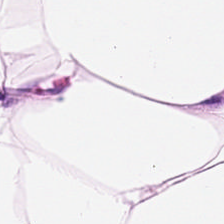H&E-stained tissue section. WSI patch.
Tissue type: adipose tissue.
